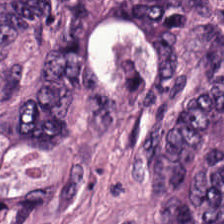The classification is colorectal adenocarcinoma epithelium.
